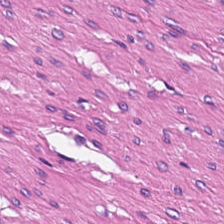H&E-stained tissue section.
Predominantly smooth muscle.
